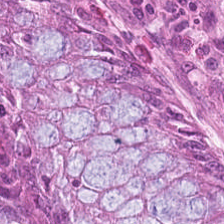Brightfield microscopy · H&E stain.
Q: What is shown here?
A: Non-neoplastic colon mucosa.
